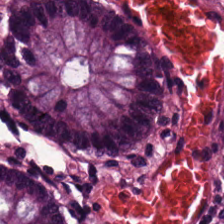H&E stain — {"tissue_type": "benign colonic mucosa"}
